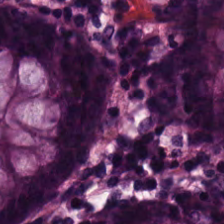Hematoxylin and eosin — Q: What tissue is shown?
A: Benign colonic mucosa.
